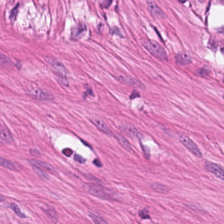Q: What is shown here?
A: It is muscularis.
